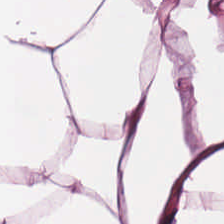Hematoxylin-and-eosin stained section. Adipocytes.
